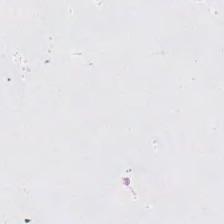This field is background (no tissue).
